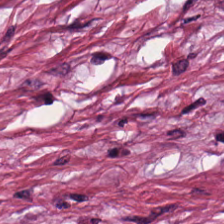0.5 µm per pixel. Hematoxylin-and-eosin stained section. FFPE.
Finding — tumor stroma.
